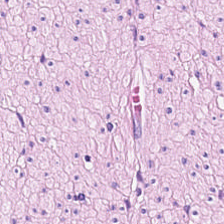H&E-stained tissue section — This patch shows smooth muscle.
